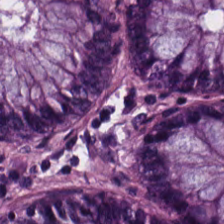H&E stain. Predominantly normal colon mucosa.
